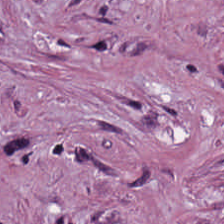H&E-stained tissue section. Predominantly cancer-associated stroma.
